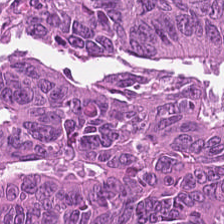Hematoxylin and eosin; 224×224 pixel tile.
This field is colorectal adenocarcinoma epithelium.
